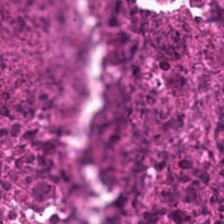Classification — debris.
